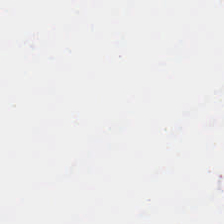H&E. FFPE tissue section.
Content — no tissue.
